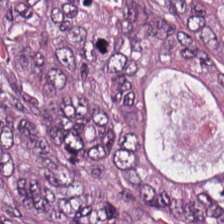H&E-stained section; the field shows colorectal adenocarcinoma epithelium.
